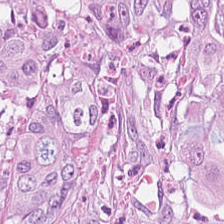Formalin-fixed paraffin-embedded section. 224×224 px patch. Hematoxylin-and-eosin stained section.
Colorectal adenocarcinoma.
